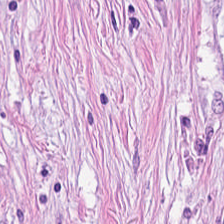Hematoxylin and eosin. This field is cancer-associated stroma.
